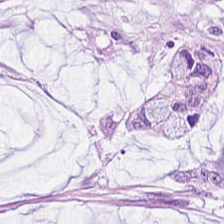H&E-stained tissue section. Q: Identify the tissue.
A: It is mucin.
